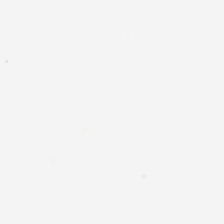H&E.
Q: What is shown here?
A: It is empty background.
